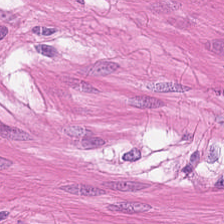Whole-slide-image patch · H&E-stained tissue section · FFPE tissue section.
This patch shows muscularis.
